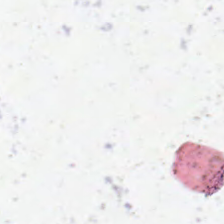H&E stain — Empty field — empty background.
